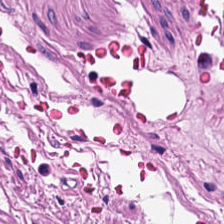Hematoxylin-and-eosin stained section. Showing smooth muscle.
